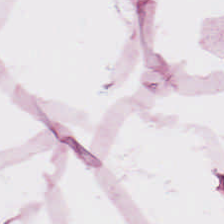20× equivalent magnification; H&E stain.
Predominantly adipose tissue.
